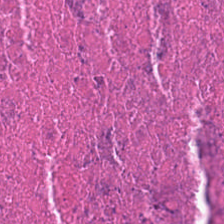H&E.
The tissue class is debris.
